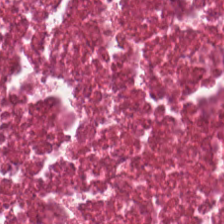Hematoxylin and eosin. Histology — cellular debris.
